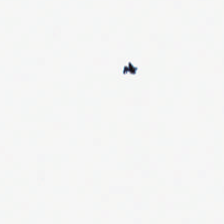Hematoxylin and eosin; FFPE tissue section. Background — no tissue in this field.
